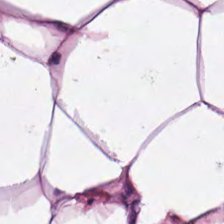H&E.
The tissue is adipocytes.
